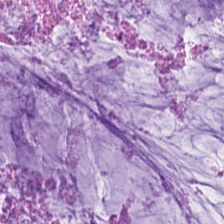Hematoxylin and eosin; 224×224 px tile — Mucin.
